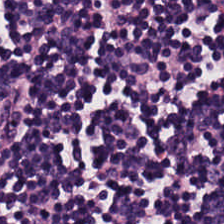Stain: H&E.
Classification: lymphoid infiltrate.
